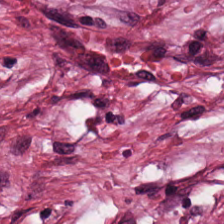H&E stain — Histology — cancer-associated stroma.
